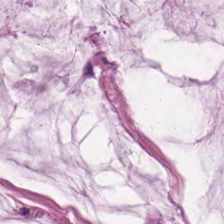H&E-stained tissue section; FFPE — Finding → mucus.
